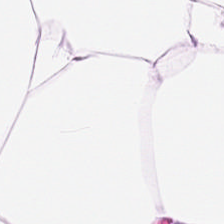Hematoxylin-and-eosin stained section — The predominant tissue is adipocytes.
